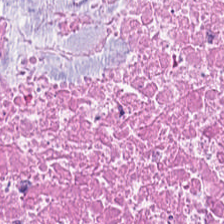Tissue class — cellular debris.
